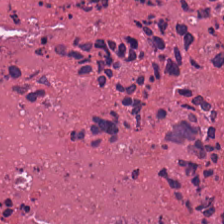FFPE tissue section. H&E. 224×224 px patch. Showing debris.
